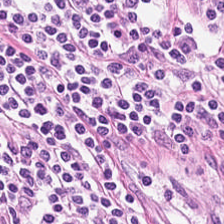H&E.
Q: What is shown in this field?
A: Lymphocytes.
